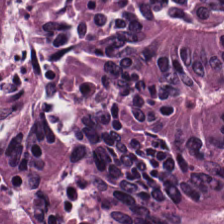H&E stain.
This field is colorectal adenocarcinoma.
